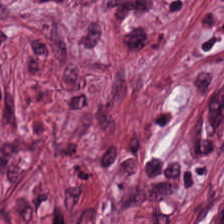Hematoxylin and eosin — Q: What tissue is shown?
A: It is cancer-associated stroma.
